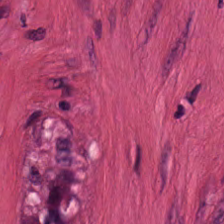224×224 px patch · hematoxylin-and-eosin stained section · 0.5 µm per pixel.
Predominantly smooth-muscle tissue.
